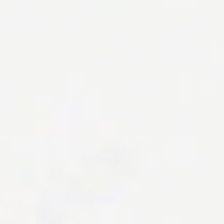Stain: H&E-stained tissue section.
Classification: background (no tissue).
